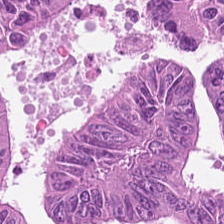Brightfield · H&E-stained tissue section. Tissue class — colorectal adenocarcinoma epithelium.
